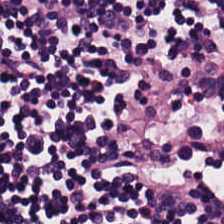Stain: H&E-stained tissue section.
Predominant tissue: lymphoid infiltrate.
